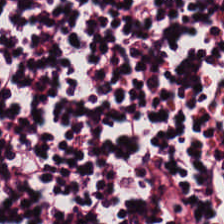H&E-stained tissue section. Brightfield. Q: What type of tissue is this?
A: It is lymphocyte aggregate.
